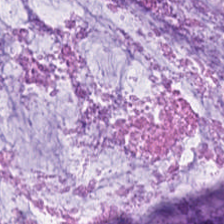Hematoxylin-and-eosin section: mucin.
